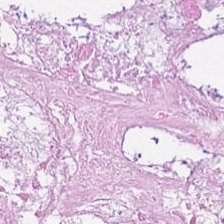Hematoxylin-and-eosin section: cellular debris.
